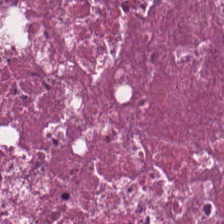H&E.
Showing cellular debris.
